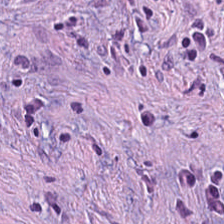Q: Identify the tissue.
A: The field shows desmoplastic stroma.
